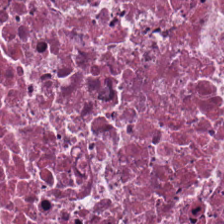Hematoxylin and eosin · FFPE tissue section. Histology → debris.
